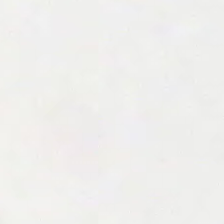H&E-stained tissue section; formalin-fixed paraffin-embedded section — Field content = background.
